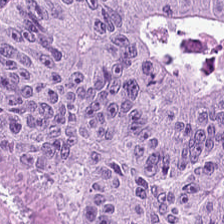FFPE; H&E stain; 224×224 px tile.
This patch shows adenocarcinoma.
